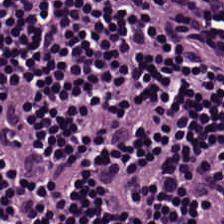Stain: hematoxylin-and-eosin stained section.
Tile size: 224×224 px patch.
Tissue class: lymphocyte aggregate.
